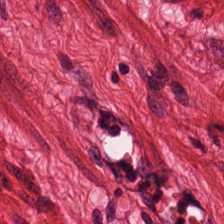H&E.
Predominantly smooth-muscle tissue.
